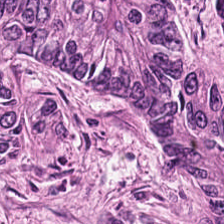Hematoxylin and eosin. Classification — adenocarcinoma.
